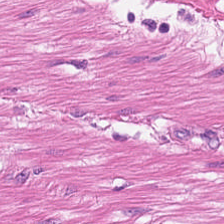H&E stain; brightfield — Tissue — smooth-muscle tissue.
